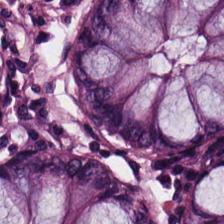H&E-stained tissue section. This field is normal colon mucosa.
